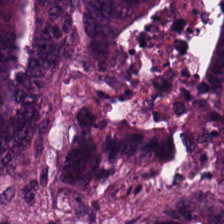H&E; 224×224 px patch.
Predominantly malignant epithelium.
